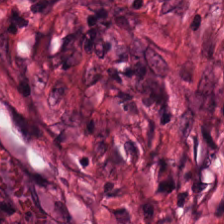Stain: H&E stain.
Classification: desmoplastic stroma.
